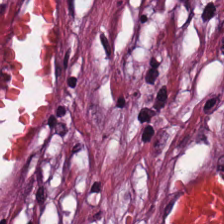FFPE tissue section · hematoxylin and eosin — Showing desmoplastic stroma.
